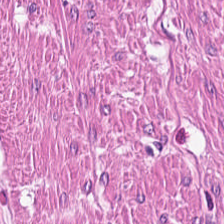Stain: H&E stain.
Tissue type: smooth-muscle tissue.
